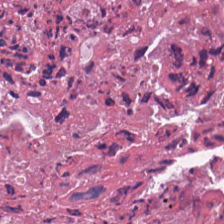H&E. FFPE tissue section — This field is cellular debris.
